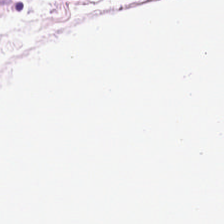FFPE tissue section; H&E. Predominantly fat tissue.
